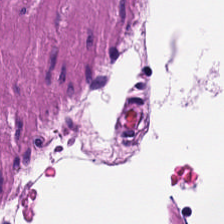Predominant tissue — smooth-muscle tissue.
